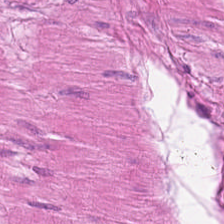Hematoxylin and eosin. This field is smooth-muscle tissue.
